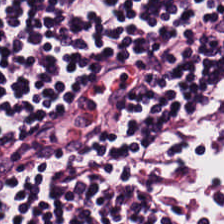Hematoxylin and eosin — Tissue type: lymphocytic infiltrate.
